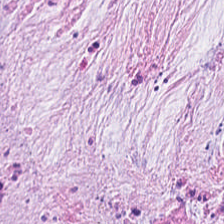Stain: hematoxylin-and-eosin stained section.
Tissue: desmoplastic stroma.
